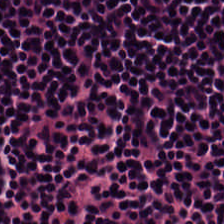H&E stain — Predominantly lymphocytic infiltrate.
